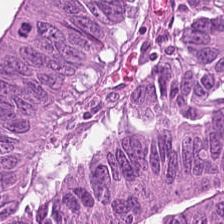Stain: H&E stain.
Tissue class: colorectal adenocarcinoma epithelium.
